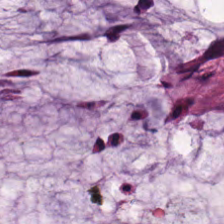224×224 px patch · hematoxylin-and-eosin stained section.
Impression — mucin.
